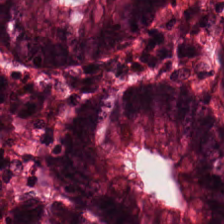{"tissue_type": "non-neoplastic colon mucosa"}
